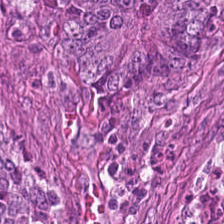Stain: hematoxylin and eosin.
Predominant tissue: colorectal adenocarcinoma epithelium.
